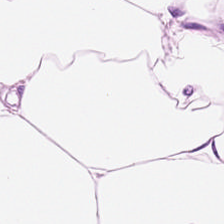The classification is adipose tissue.
